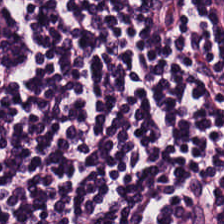Hematoxylin-and-eosin stained section. Showing lymphocytic infiltrate.
